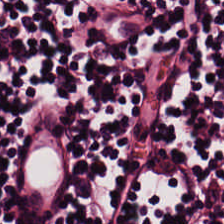H&E-stained tissue section showing lymphoid infiltrate.
